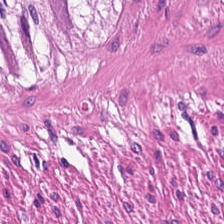H&E — Predominant tissue = muscularis.
